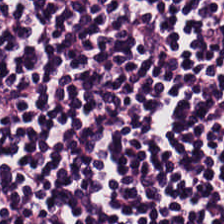Q: What is shown in this field?
A: Lymphocytes.
